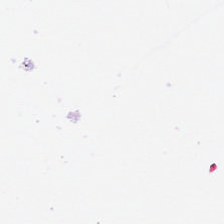Empty field — empty background.
